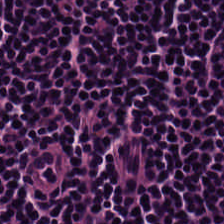H&E-stained tissue section — Showing lymphocyte aggregate.
